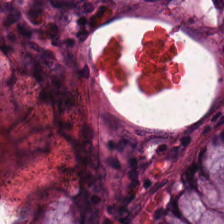{"tissue_type": "normal colonic mucosa"}
